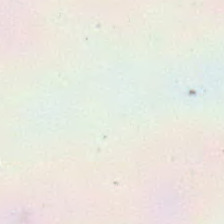H&E stain. No tissue present; background only.
